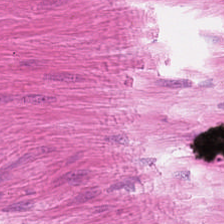H&E-stained tissue section — Predominantly smooth-muscle tissue.
